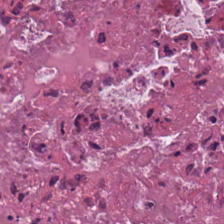H&E-stained tissue section. Q: What type of tissue is this?
A: It is necrotic debris.
